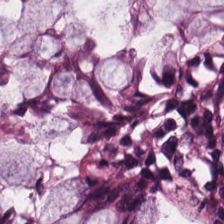Hematoxylin-and-eosin stained section. Classification = non-neoplastic colon mucosa.
